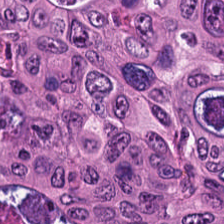Predominant tissue — colorectal adenocarcinoma epithelium.
